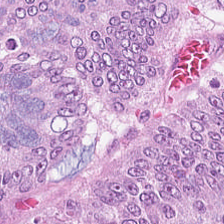Hematoxylin and eosin · 20× equivalent magnification — This patch shows malignant epithelium.
